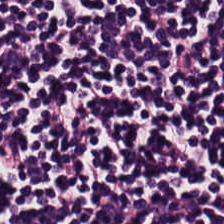H&E — Q: What type of tissue is this?
A: It is lymphoid infiltrate.
